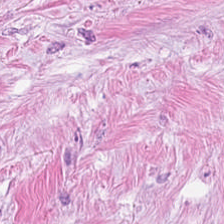Cancer-associated stroma.
